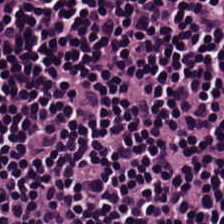Hematoxylin-and-eosin section: lymphocytic infiltrate.
